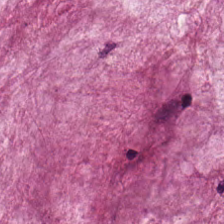The tissue class is mucus.
